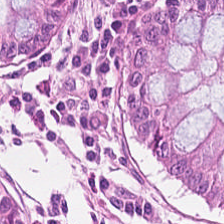H&E stain. The classification is normal colon mucosa.
